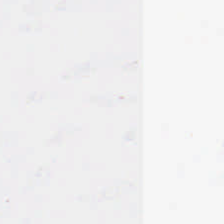Stain: hematoxylin-and-eosin stained section.
Classification: background (no tissue).
